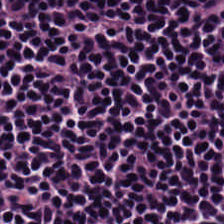H&E stain · 224×224 pixel tile · whole-slide-image patch.
Q: What tissue is shown?
A: This is lymphocytic infiltrate.
